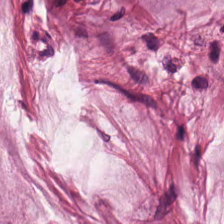H&E-stained tissue section. 20× equivalent magnification.
Tissue class — mucin.
